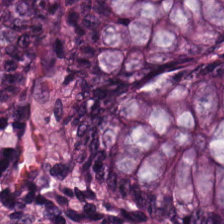Hematoxylin and eosin — The tissue is benign colonic mucosa.
